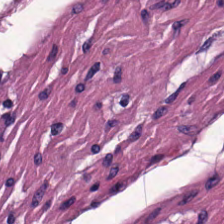H&E; FFPE; WSI patch. Smooth-muscle tissue.
